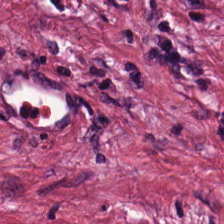Formalin-fixed paraffin-embedded section · H&E stain.
Classification: tumor-associated stroma.
